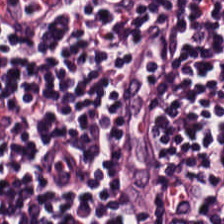Brightfield microscopy; hematoxylin-and-eosin stained section — Q: What is the predominant tissue type?
A: The field shows lymphocytic infiltrate.
